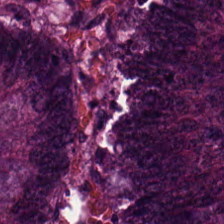224×224 pixel tile. Hematoxylin-and-eosin stained section. The tissue type is colorectal adenocarcinoma.
